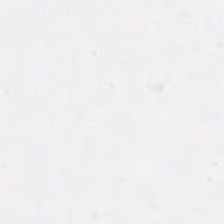H&E.
Histology → empty background.
